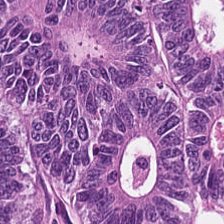Hematoxylin-and-eosin stained section.
This patch shows tumor epithelium.
